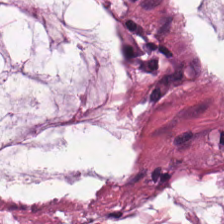Stain: H&E-stained tissue section.
Tile size: 224×224 px patch.
Classification: mucin.
